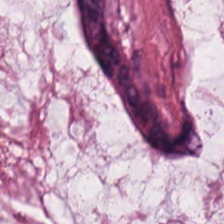{"tissue_type": "mucus"}
